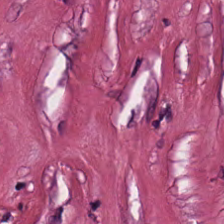Stain: hematoxylin-and-eosin stained section.
Acquisition: whole-slide-image patch.
Resolution: 20× equivalent magnification.
Tissue: tumor stroma.
